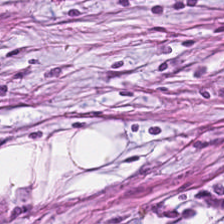Hematoxylin-and-eosin stained section · brightfield. Impression → tumor-associated stroma.
